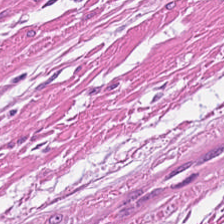Hematoxylin and eosin. Predominantly muscularis.
